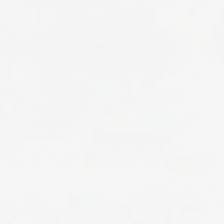H&E stain — This field is background (no tissue).
